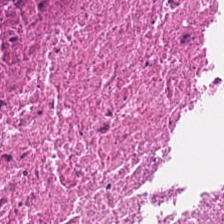Hematoxylin-and-eosin stained section. 224×224 px patch — Showing cellular debris.
